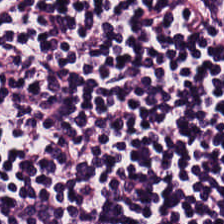H&E-stained tissue section.
Lymphocytic infiltrate.
